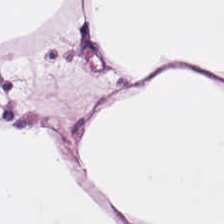H&E; 224×224 px patch — Tissue — adipose tissue.
